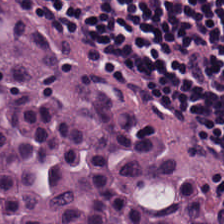H&E patch showing lymphoid infiltrate.
